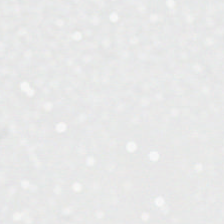Hematoxylin-and-eosin stained section — No tissue present; background only.
